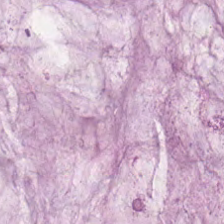Classification: mucin.
